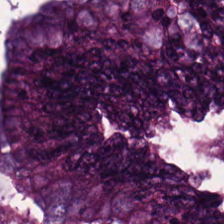H&E.
Predominantly malignant epithelium.
